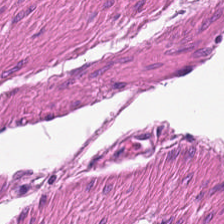{"tissue_type": "smooth muscle"}
